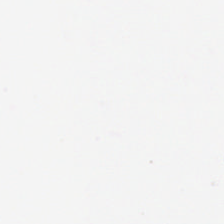0.5 µm per pixel; FFPE; H&E stain. Empty background.
